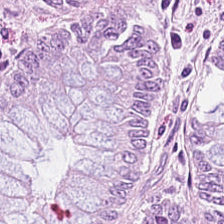H&E stain.
Showing normal colon mucosa.
